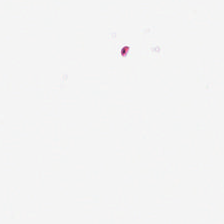Hematoxylin-and-eosin stained section.
The content is no tissue.
